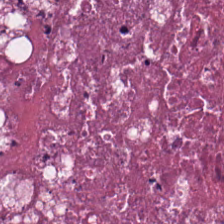Hematoxylin and eosin — The tissue type is debris.
